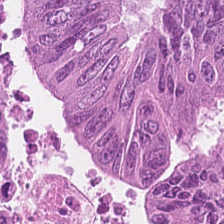WSI patch. Formalin-fixed paraffin-embedded section. Hematoxylin and eosin — The predominant tissue is tumor epithelium.
